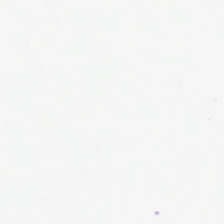H&E-stained tissue section. 20× equivalent magnification. 224×224 pixel tile — Classification — no tissue.
